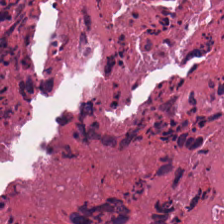Hematoxylin-and-eosin stained section. Brightfield microscopy. 0.5 microns per pixel — The tissue here is debris.
